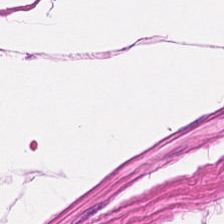H&E stain; 224×224 pixel tile — This patch shows smooth-muscle tissue.
